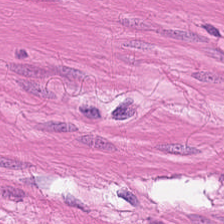H&E-stained section; the field shows smooth muscle.
